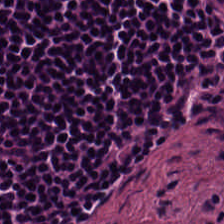Tissue class: lymphocytes.
